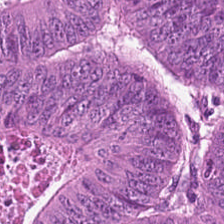Brightfield microscopy; FFPE; H&E stain.
Showing colorectal adenocarcinoma epithelium.
